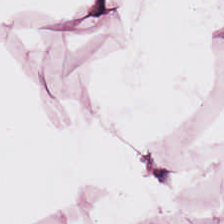Fat tissue.
